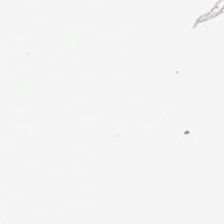Hematoxylin-and-eosin stained section — No tissue present; background only.
